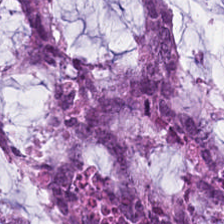Hematoxylin-and-eosin section: mucus.
